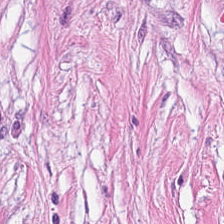Hematoxylin and eosin — Predominantly cancer-associated stroma.
